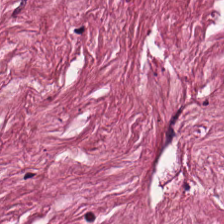0.5 µm/px. Hematoxylin and eosin. Histology → cancer-associated stroma.
